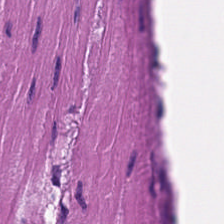0.5 microns per pixel; hematoxylin and eosin.
The tissue here is smooth muscle.
